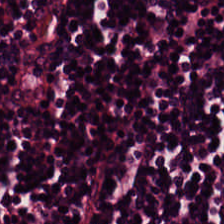Hematoxylin and eosin · WSI patch — {"tissue_type": "lymphoid infiltrate"}
